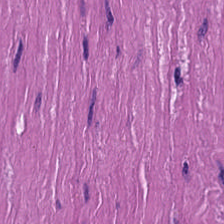Tissue — smooth muscle.
